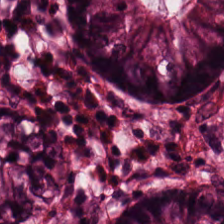This field is benign colonic mucosa.
